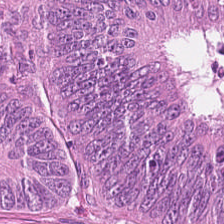FFPE. H&E stain. Q: What is shown here?
A: This is tumor epithelium.
